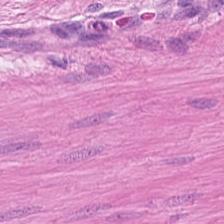H&E — This field is smooth-muscle tissue.
